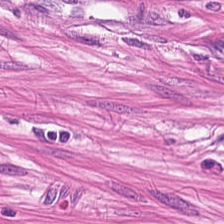Stain: H&E-stained tissue section.
Tile size: 224×224 pixel tile.
Tissue: muscularis.
